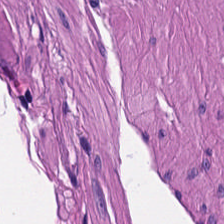H&E.
Classification = muscularis.
